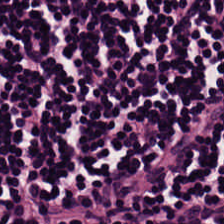Impression — lymphocytes.
